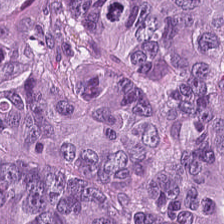Hematoxylin-and-eosin stained section · FFPE. {"tissue_type": "malignant epithelium"}
